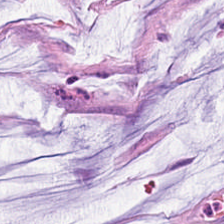H&E. 0.5 microns per pixel. FFPE. Classification — extracellular mucin.
